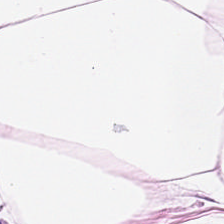H&E stain. The tissue type is fat tissue.
